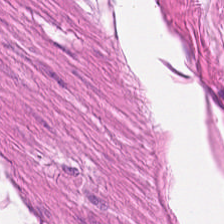H&E.
Q: What is the predominant tissue type?
A: It is smooth-muscle tissue.
